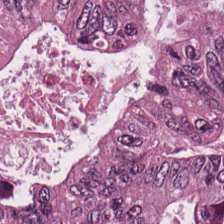Finding → malignant epithelium.
